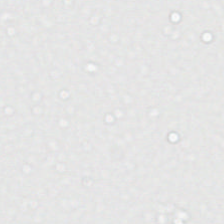Brightfield; 20× equivalent magnification; H&E.
Background.
